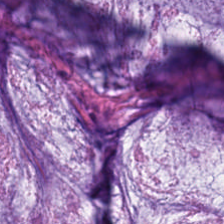H&E-stained tissue section — Q: What type of tissue is this?
A: This is mucus.
